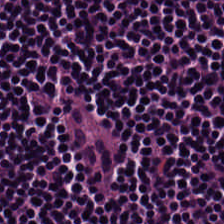FFPE; hematoxylin-and-eosin stained section — Impression → lymphoid infiltrate.
